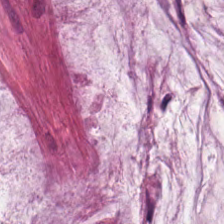Stain: H&E stain.
Tissue: extracellular mucin.
